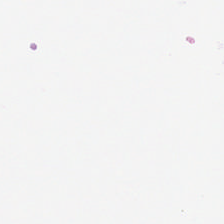Finding → background (no tissue).
